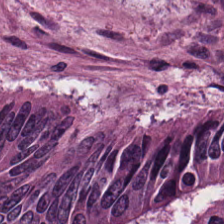Hematoxylin-and-eosin stained section.
Histology — colorectal adenocarcinoma.
